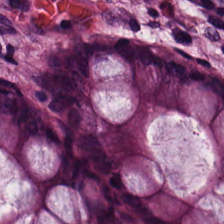0.5 microns per pixel. H&E — Q: What is shown in this field?
A: The field shows normal colon mucosa.
